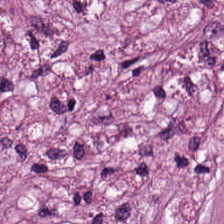H&E stain. The predominant tissue is desmoplastic stroma.
